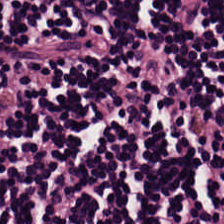H&E stain. 0.5 µm per pixel.
This field is lymphoid infiltrate.
